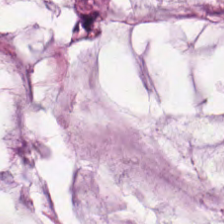Tissue class — mucus.
